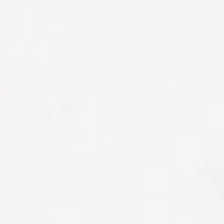Finding — empty background.
